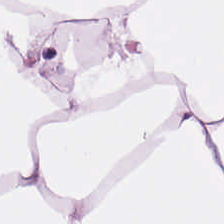H&E-stained tissue section.
Predominantly fat tissue.
